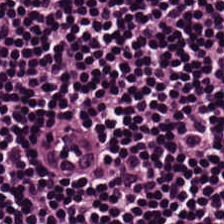Predominant tissue — lymphocytes.
